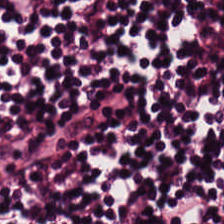FFPE. H&E. This field is lymphocytic infiltrate.
